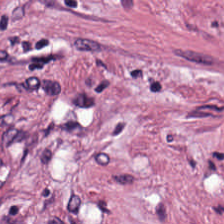Showing cancer-associated stroma.
